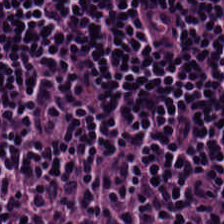H&E-stained tissue section. Showing lymphoid infiltrate.
